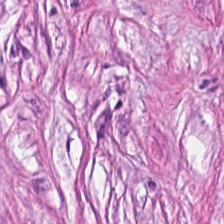H&E-stained tissue section · FFPE tissue section. This patch shows tumor stroma.
